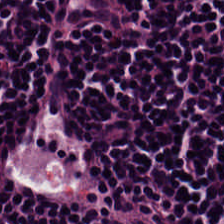0.5 µm per pixel; H&E-stained tissue section; FFPE.
Showing lymphoid infiltrate.
